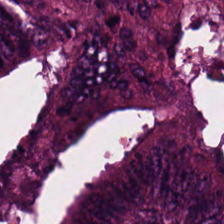Tumor epithelium.
